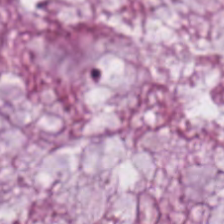Q: What does this patch show?
A: This is extracellular mucin.
